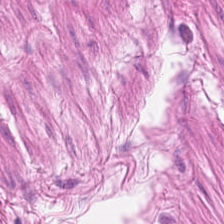The classification is smooth muscle.
